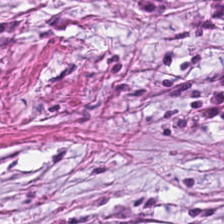Hematoxylin-and-eosin stained section — Q: What is shown here?
A: Desmoplastic stroma.
